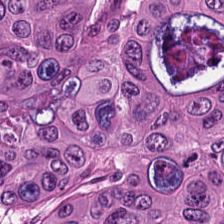Stain: H&E stain.
Tile size: 224×224 px tile.
Tissue class: colorectal adenocarcinoma.
